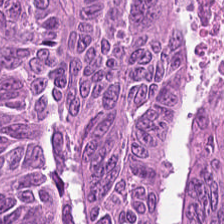224×224 px tile · H&E stain.
Adenocarcinoma.
